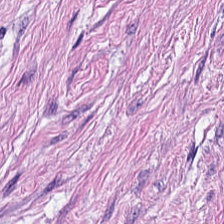Smooth-muscle tissue.
